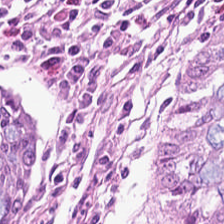224×224 pixel tile · H&E stain.
Tissue — normal colon mucosa.
